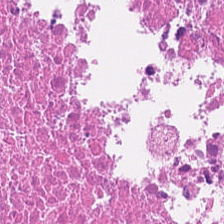H&E.
{"tissue_type": "debris"}
